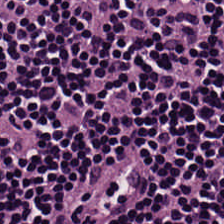H&E; 224×224 px patch. {"tissue_type": "lymphoid infiltrate"}
